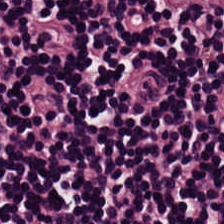224×224 pixel tile. H&E stain — The predominant tissue is lymphocytes.
